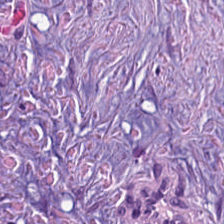Classification = tumor-associated stroma.
